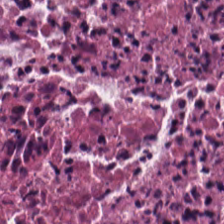Histology → cellular debris.
